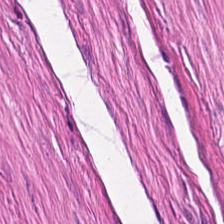Hematoxylin and eosin.
Q: What tissue is shown?
A: It is smooth-muscle tissue.
